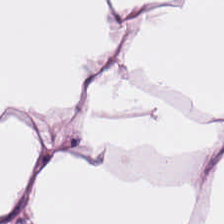224×224 px tile. H&E.
The tissue here is adipocytes.
